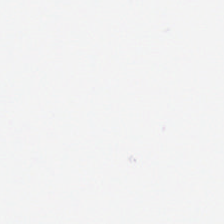H&E-stained tissue section — Impression → no tissue.
